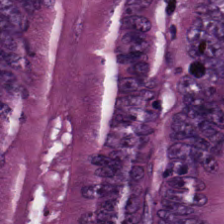H&E-stained tissue section; formalin-fixed paraffin-embedded section. Q: What is shown in this field?
A: The field shows malignant epithelium.
